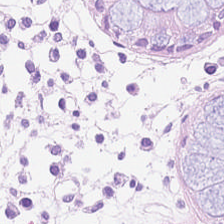Tissue type — benign colonic mucosa.
